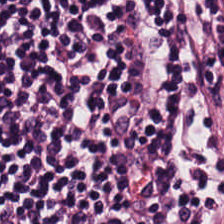H&E-stained section; the field shows lymphocytic infiltrate.
